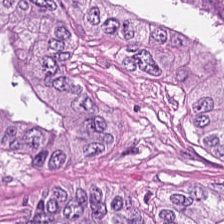Stain: hematoxylin-and-eosin stained section.
Resolution: 0.5 µm per pixel.
Preparation: FFPE.
Classification: tumor epithelium.
